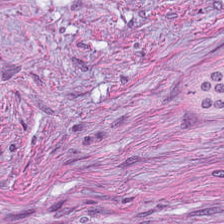H&E. 20× equivalent magnification. Brightfield — Q: What is the predominant tissue type?
A: Tumor-associated stroma.
